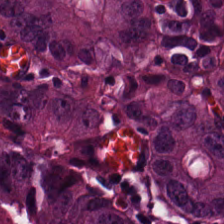H&E — Q: What tissue type is shown here?
A: It is adenocarcinoma.
